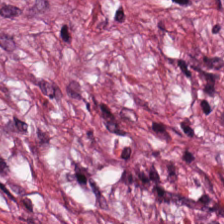Predominantly tumor-associated stroma.
